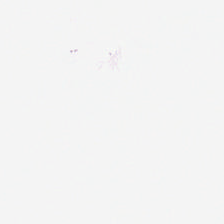Hematoxylin-and-eosin stained section; FFPE tissue section. Finding → empty background.
